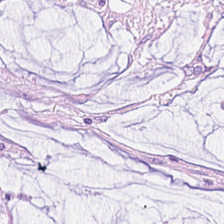0.5 µm per pixel; H&E-stained tissue section — Predominant tissue — extracellular mucin.
